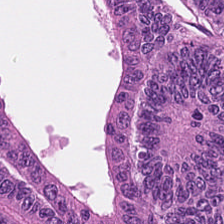Impression → tumor epithelium.
